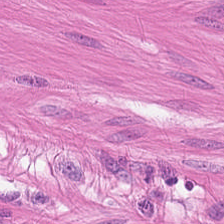Formalin-fixed paraffin-embedded section; H&E-stained tissue section. Tissue type — smooth muscle.
